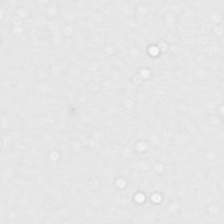Hematoxylin and eosin — Background — no tissue in this field.
